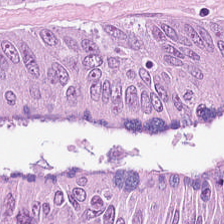Brightfield. 20× equivalent magnification. Hematoxylin and eosin. Showing adenocarcinoma.
